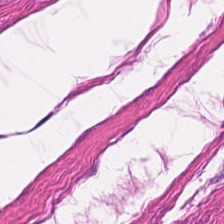Brightfield. Hematoxylin and eosin. Q: What is the predominant tissue type?
A: Smooth muscle.
